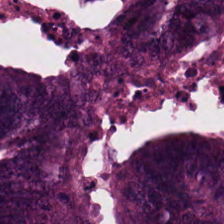H&E stain — The tissue type is colorectal adenocarcinoma epithelium.
